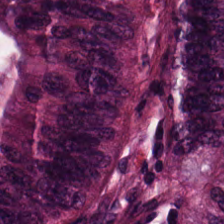H&E stain. 0.5 microns per pixel. The tissue here is colorectal adenocarcinoma.
